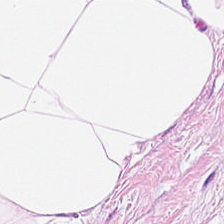Predominant tissue — adipocytes.
